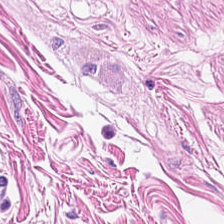Stain: hematoxylin and eosin.
Acquisition: brightfield microscopy.
Classification: muscularis.
